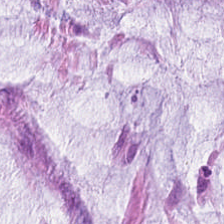Hematoxylin and eosin. The tissue is extracellular mucin.
